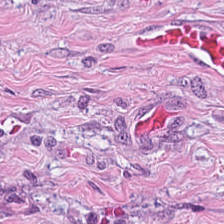224×224 px patch; brightfield microscopy; H&E stain. Classification: desmoplastic stroma.
